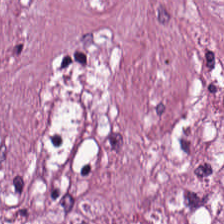Showing cancer-associated stroma.
